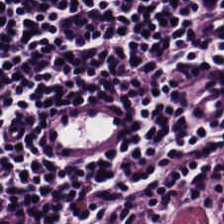Q: What tissue type is shown here?
A: It is lymphocytic infiltrate.
